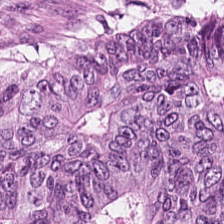Classification: adenocarcinoma.
